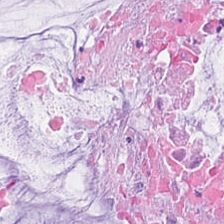H&E-stained tissue section. Q: What tissue type is shown here?
A: The field shows mucus.
